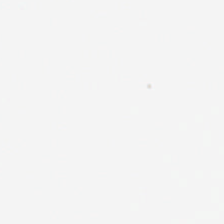FFPE · H&E.
Content: background.
